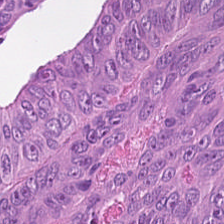H&E.
Q: Identify the tissue.
A: Malignant epithelium.
